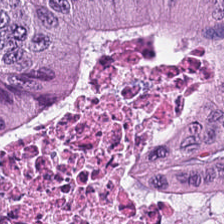H&E; 224×224 pixel tile; whole-slide-image patch.
The predominant tissue is tumor epithelium.
